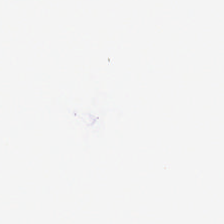Hematoxylin and eosin · 224×224 pixel tile · FFPE tissue section. Field content — no tissue.
